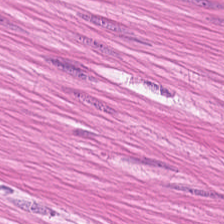H&E stain. Histology — smooth muscle.
